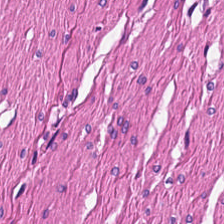Hematoxylin and eosin — Predominantly muscularis.
